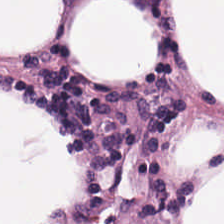224×224 px tile; hematoxylin and eosin — Fat tissue.
